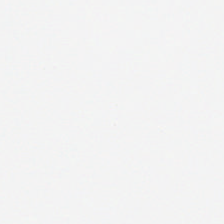This field is background (no tissue).
